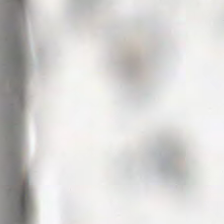H&E-stained tissue section. Content = background (no tissue).
